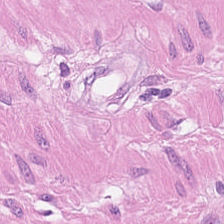Stain: hematoxylin and eosin.
Acquisition: brightfield.
Tissue type: muscularis.
